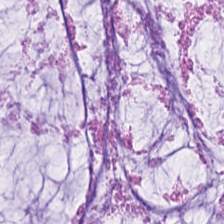0.5 µm/px; 224×224 pixel tile; H&E-stained tissue section.
The tissue class is extracellular mucin.
